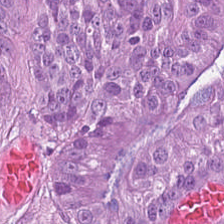H&E. The tissue type is colorectal adenocarcinoma epithelium.
